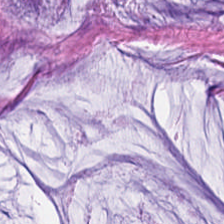H&E-stained tissue section · 0.5 µm/px.
Q: What is the predominant tissue type?
A: It is mucus.
